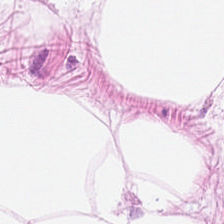WSI patch · H&E stain.
Predominantly adipose tissue.
